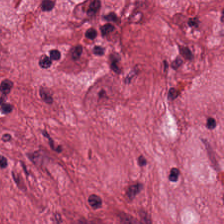Stain: hematoxylin and eosin.
Tissue type: desmoplastic stroma.
